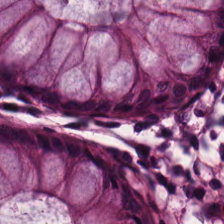Hematoxylin and eosin.
This patch shows non-neoplastic colon mucosa.
